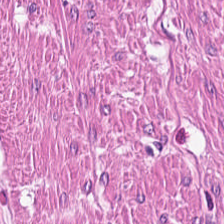H&E stain. Formalin-fixed paraffin-embedded section — The predominant tissue is muscularis.
